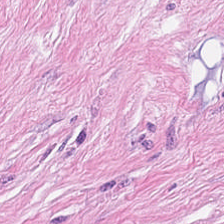H&E-stained tissue section · brightfield microscopy. Q: What type of tissue is this?
A: Tumor stroma.
